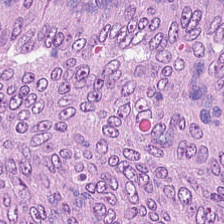Stain: hematoxylin-and-eosin stained section.
Tissue class: colorectal adenocarcinoma epithelium.
